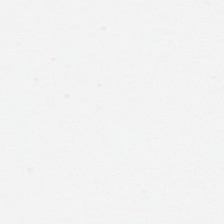Hematoxylin-and-eosin stained section.
Classification — empty background.
